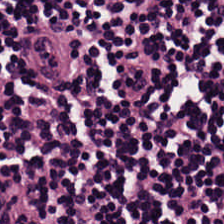H&E · whole-slide-image patch · FFPE tissue section. Classification: lymphocytes.
